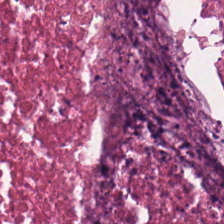Debris.
